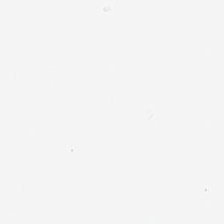H&E; FFPE tissue section. No tissue present; background only.
